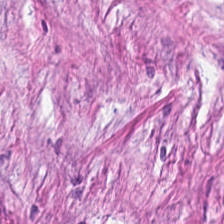224×224 pixel tile; H&E stain; formalin-fixed paraffin-embedded section. Tissue: cancer-associated stroma.
